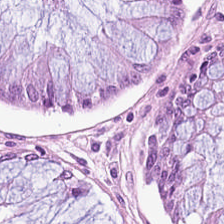H&E — Classification — normal colon mucosa.
